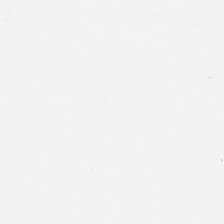Brightfield microscopy; 0.5 µm/px; H&E stain. This field is background (no tissue).
